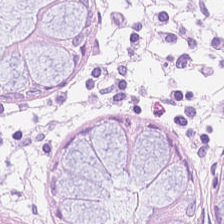Normal colon mucosa.
